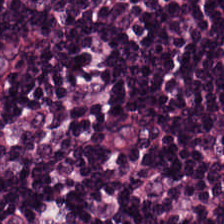Q: What tissue is shown?
A: This is lymphoid infiltrate.
